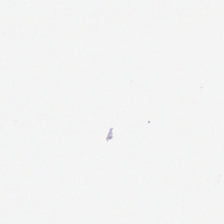Q: What is shown here?
A: The field shows no tissue.
